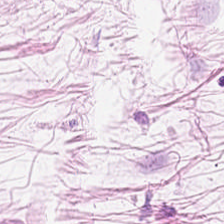Hematoxylin-and-eosin stained section · WSI patch. Classification — adipose.
